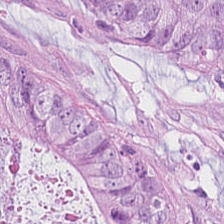H&E stain — Q: Classify this patch.
A: Colorectal adenocarcinoma.
